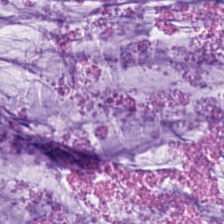H&E · 0.5 µm per pixel. Q: Classify this patch.
A: Mucus.
